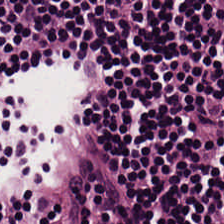Q: What is the predominant tissue type?
A: The field shows lymphocyte aggregate.
